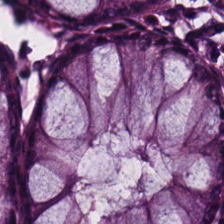H&E stain. Q: What is shown here?
A: The field shows non-neoplastic colon mucosa.
